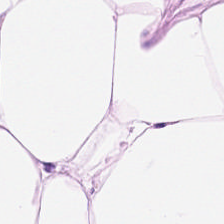Stain: hematoxylin and eosin.
Preparation: FFPE tissue section.
Classification: adipocytes.
